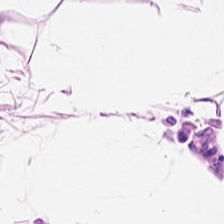H&E stain. 0.5 microns per pixel. {"tissue_type": "adipose"}
